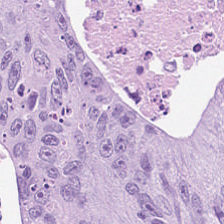0.5 microns per pixel · hematoxylin-and-eosin stained section — Q: Classify this patch.
A: It is colorectal adenocarcinoma epithelium.
